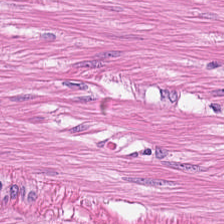Stain: H&E-stained tissue section.
Predominant tissue: smooth-muscle tissue.
